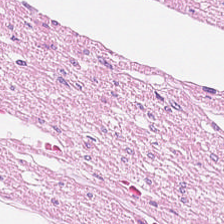FFPE tissue section. H&E stain.
This patch shows smooth-muscle tissue.
